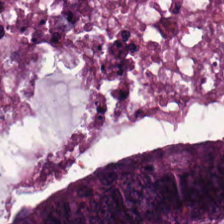H&E. The tissue class is colorectal adenocarcinoma epithelium.
